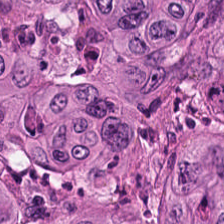The tissue class is colorectal adenocarcinoma.
